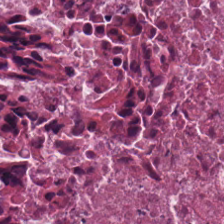Q: Identify the tissue.
A: This is cellular debris.
